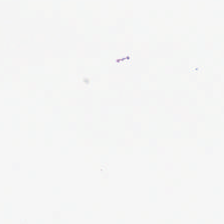H&E-stained tissue section · formalin-fixed paraffin-embedded section — The classification is no tissue.
